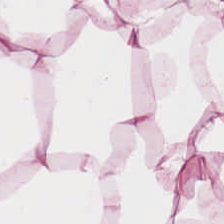H&E stain · formalin-fixed paraffin-embedded section. This field is adipose.
